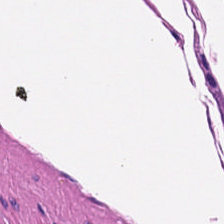WSI patch; hematoxylin-and-eosin stained section — Q: What tissue type is shown here?
A: Muscularis.
